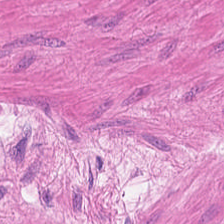Predominant tissue: smooth-muscle tissue.
